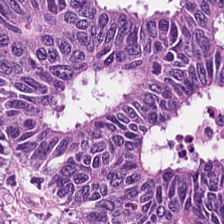Hematoxylin and eosin · formalin-fixed paraffin-embedded section. The tissue type is malignant epithelium.
